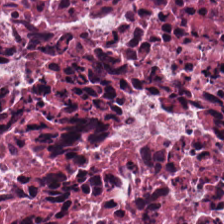Hematoxylin and eosin. 224×224 px tile. Q: Classify this patch.
A: This is debris.
